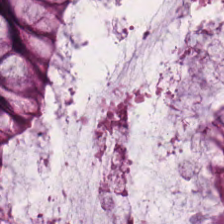Hematoxylin-and-eosin stained section — Predominant tissue: normal colonic mucosa.
